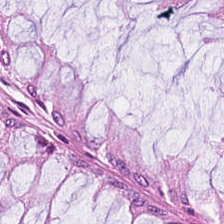H&E-stained tissue section.
The tissue here is benign colonic mucosa.
